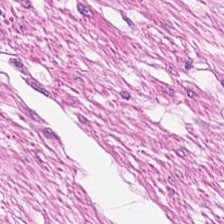H&E stain. The tissue here is smooth muscle.
